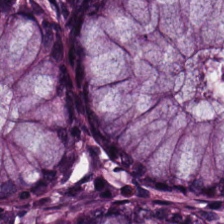H&E; WSI patch.
Benign colonic mucosa.
